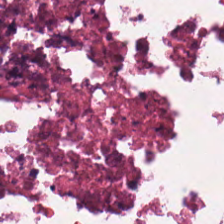H&E. Formalin-fixed paraffin-embedded section — Debris.
